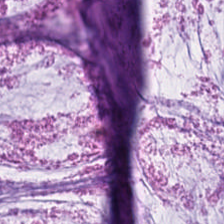Hematoxylin and eosin. 224×224 pixel tile. 0.5 µm per pixel.
The tissue class is mucus.
